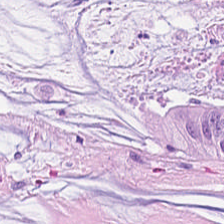Classification — mucus.
